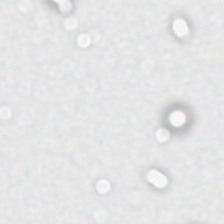Hematoxylin and eosin. The field content is background (no tissue).
